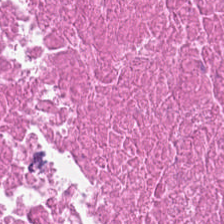H&E stain.
Predominant tissue: cellular debris.
